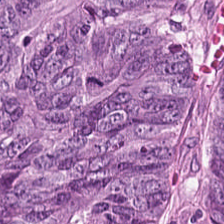H&E · 20× equivalent magnification · brightfield microscopy — The tissue class is colorectal adenocarcinoma.
